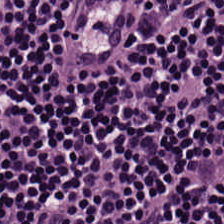Stain: hematoxylin and eosin.
Tissue: lymphocytic infiltrate.
